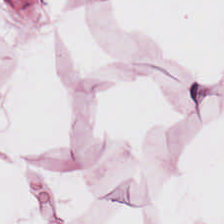FFPE; hematoxylin-and-eosin stained section. Tissue class = adipose.
